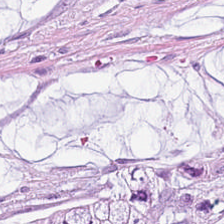H&E stain. Q: What type of tissue is this?
A: Mucus.
